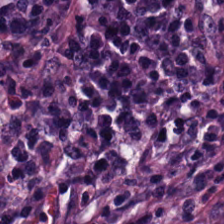Showing lymphocyte aggregate.
